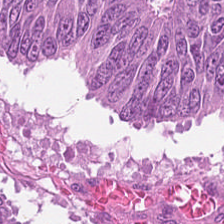Hematoxylin-and-eosin stained section. The tissue type is tumor epithelium.
